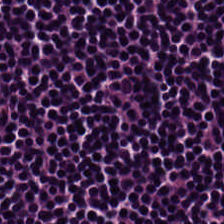Hematoxylin-and-eosin stained section.
This patch shows lymphocytic infiltrate.
